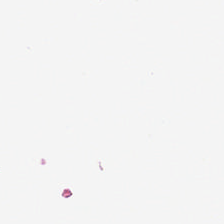Hematoxylin-and-eosin stained section — No tissue.
